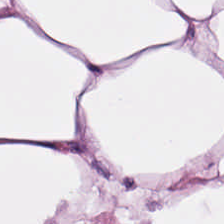The predominant tissue is adipocytes.
